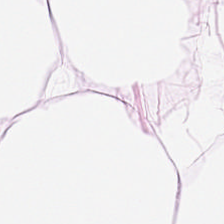224×224 px tile. H&E stain.
Showing adipose tissue.
